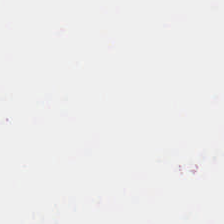Hematoxylin-and-eosin stained section.
Background.
